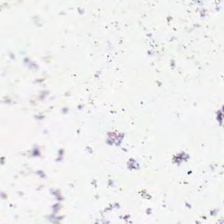H&E-stained tissue section. The field content is no tissue.
